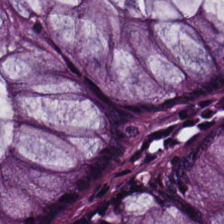H&E-stained tissue section. The predominant tissue is non-neoplastic colon mucosa.
